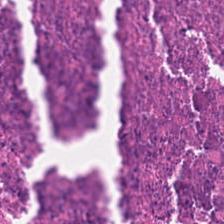Hematoxylin-and-eosin stained section.
Q: What is shown here?
A: Necrotic debris.
